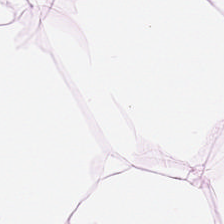Q: Identify the tissue.
A: It is fat tissue.
